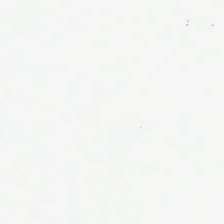Brightfield microscopy; 0.5 microns per pixel; H&E. Classification — background.
